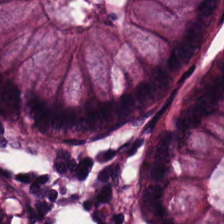H&E stain — Histology → normal colon mucosa.
